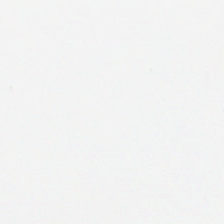Hematoxylin and eosin.
Finding → no tissue.
